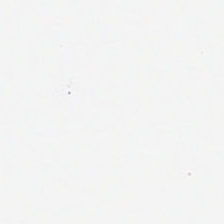H&E stain; 0.5 microns per pixel — No tissue present; background only.
